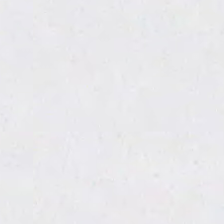H&E-stained tissue section · 224×224 pixel tile. Background — no tissue in this field.
